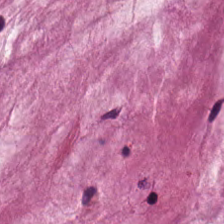H&E stain · 224×224 px patch.
This field is extracellular mucin.
